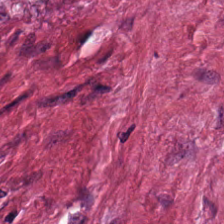FFPE tissue section. 224×224 px tile. H&E-stained tissue section. Q: Identify the tissue.
A: It is desmoplastic stroma.
